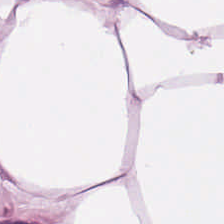Hematoxylin and eosin — Adipose tissue.
